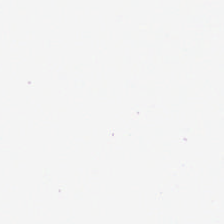Stain: hematoxylin and eosin.
Field content: no tissue.
